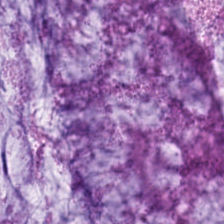H&E patch showing extracellular mucin.
